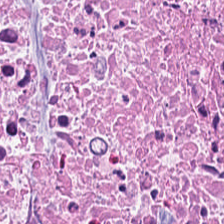The classification is cellular debris.
